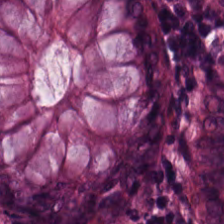H&E-stained tissue section. Predominantly benign colonic mucosa.
